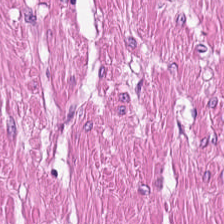H&E; 0.5 µm per pixel; FFPE tissue section. Tissue: smooth muscle.
